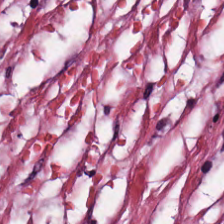Stain: H&E.
Tissue class: tumor stroma.
